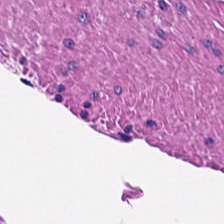H&E.
Q: What is the predominant tissue type?
A: Muscularis.
